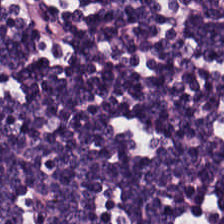Stain: hematoxylin-and-eosin stained section.
Acquisition: brightfield.
Resolution: 0.5 µm per pixel.
Tissue type: lymphocyte aggregate.
